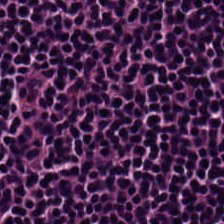H&E — lymphocytic infiltrate.
